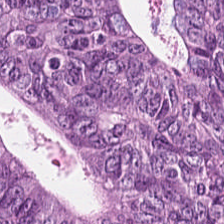Stain: hematoxylin and eosin.
Preparation: FFPE.
Predominant tissue: colorectal adenocarcinoma.
